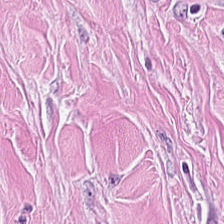H&E stain. 0.5 µm per pixel — Q: What tissue is shown?
A: Tumor stroma.
